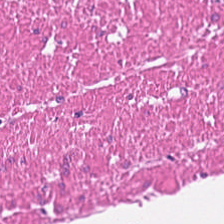WSI patch · 224×224 pixel tile · H&E — The classification is muscularis.
